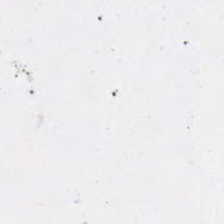Hematoxylin and eosin; WSI patch. Empty field — no tissue.
